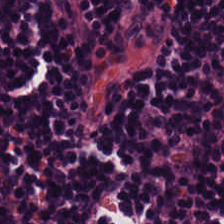Stain: H&E-stained tissue section.
Predominant tissue: lymphocyte aggregate.
